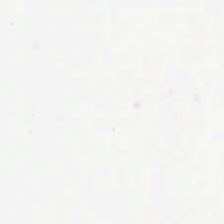H&E. Q: What is shown in this field?
A: This is empty background.
